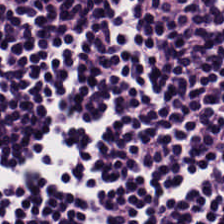H&E-stained tissue section. FFPE. 224×224 px tile.
Lymphoid infiltrate.
